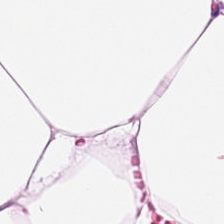{"tissue_type": "adipose"}
